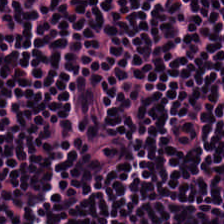Hematoxylin-and-eosin section: lymphocytes.
